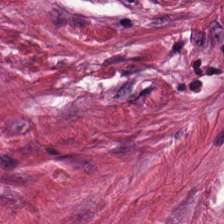Hematoxylin and eosin.
Showing tumor stroma.
